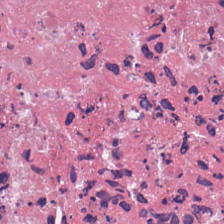Hematoxylin-and-eosin stained section. Tissue class — necrotic debris.
